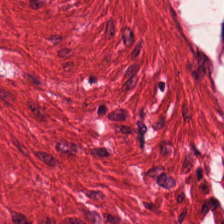Whole-slide-image patch; H&E stain.
Q: What type of tissue is this?
A: The field shows smooth-muscle tissue.
